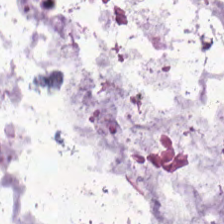H&E-stained tissue section · 224×224 px tile.
The predominant tissue is mucin.
